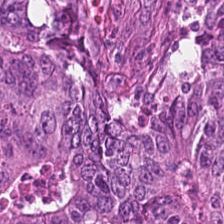Hematoxylin and eosin. Q: What is the predominant tissue type?
A: This is colorectal adenocarcinoma.
